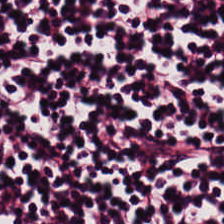H&E-stained tissue section. Histology → lymphocytes.
